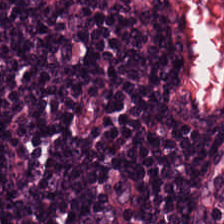0.5 microns per pixel. Hematoxylin and eosin. 224×224 px patch — Q: What is shown here?
A: This is lymphocytes.
